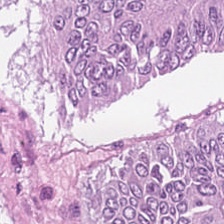H&E stain — This patch shows colorectal adenocarcinoma epithelium.
